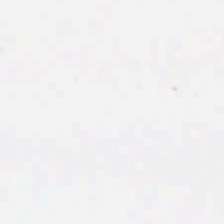H&E stain.
Q: What is shown in this field?
A: Background.
